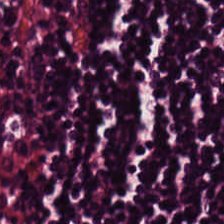H&E. Formalin-fixed paraffin-embedded section.
Classification: lymphocytes.
